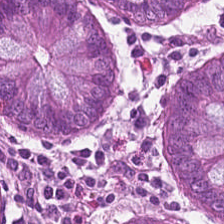Hematoxylin-and-eosin stained section; formalin-fixed paraffin-embedded section. The predominant tissue is normal colon mucosa.
